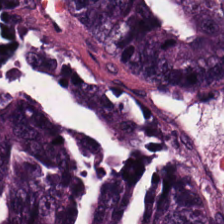Showing malignant epithelium.
